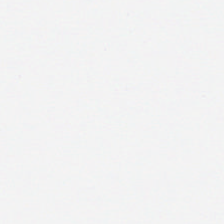H&E stain.
Background.
